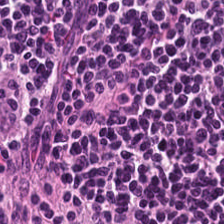224×224 px tile. Hematoxylin and eosin.
Lymphocyte aggregate.
